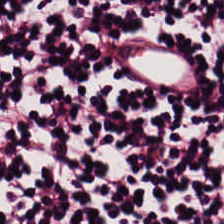{"tissue_type": "lymphoid infiltrate"}
